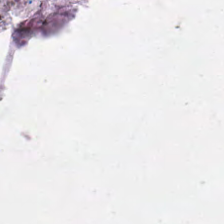Background — no tissue in this field.
